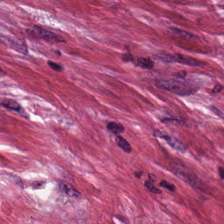This field is tumor-associated stroma.
